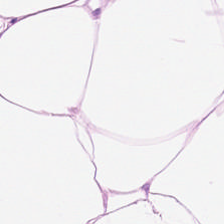0.5 µm/px. H&E-stained tissue section. 224×224 px patch. Showing fat tissue.
